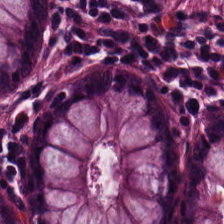Hematoxylin and eosin · 0.5 microns per pixel.
Predominant tissue = non-neoplastic colon mucosa.
